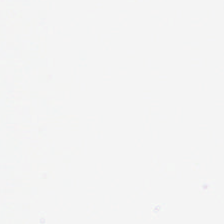Q: What does this patch show?
A: The field shows background (no tissue).
